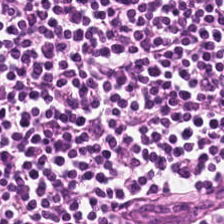H&E stain. Predominantly lymphocytic infiltrate.
